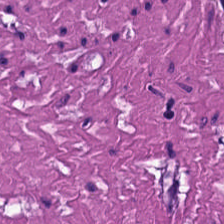H&E — This field is muscularis.
